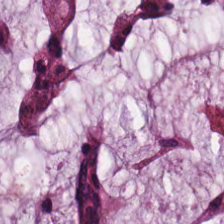Hematoxylin and eosin. Finding — extracellular mucin.
